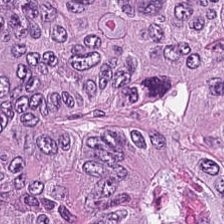Formalin-fixed paraffin-embedded section. 224×224 pixel tile. Hematoxylin-and-eosin stained section.
Q: What tissue is shown?
A: The field shows malignant epithelium.
